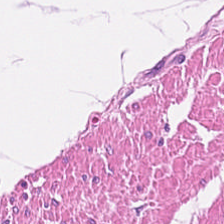Tissue type = smooth muscle.
